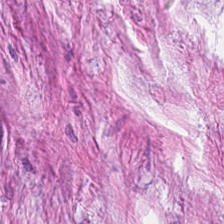H&E-stained tissue section; 224×224 pixel tile; 20× equivalent magnification. This patch shows tumor-associated stroma.
